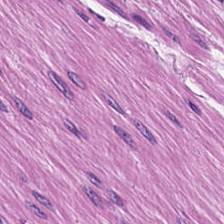Stain: hematoxylin-and-eosin stained section.
Acquisition: whole-slide-image patch.
Tissue type: smooth-muscle tissue.
